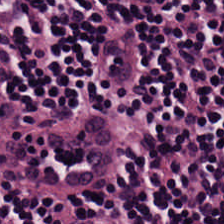Hematoxylin-and-eosin stained section — Q: What does this patch show?
A: Lymphocytes.
